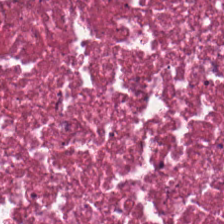Finding — necrotic debris.
